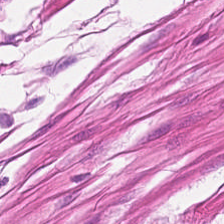0.5 µm per pixel · hematoxylin-and-eosin stained section · FFPE.
Smooth muscle.
